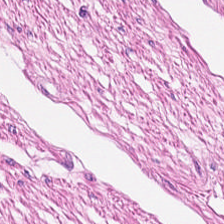Stain: hematoxylin and eosin.
Tissue type: smooth-muscle tissue.
